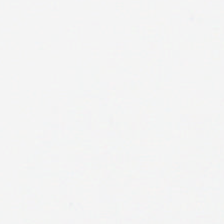20× equivalent magnification · brightfield microscopy · hematoxylin and eosin.
Field content: empty background.
